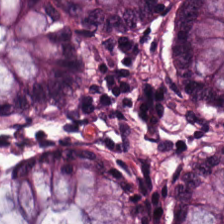Whole-slide-image patch. H&E-stained tissue section. Q: Identify the tissue.
A: The field shows benign colonic mucosa.
